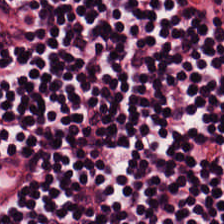The predominant tissue is lymphocytic infiltrate.
